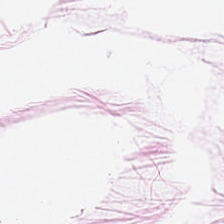Stain: hematoxylin-and-eosin stained section.
Tile size: 224×224 px tile.
Predominant tissue: adipose.
